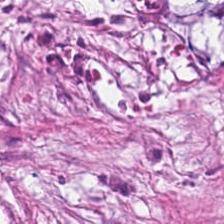H&E-stained section; the field shows tumor-associated stroma.
